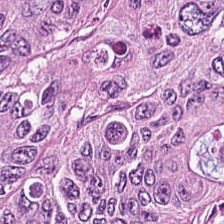Stain: H&E-stained tissue section.
Classification: adenocarcinoma.
